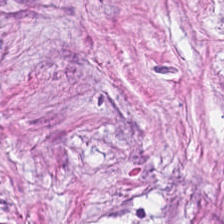H&E patch showing desmoplastic stroma.
